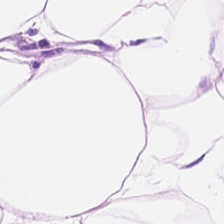H&E-stained tissue section. This patch shows adipose tissue.
